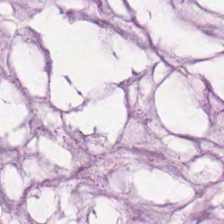Hematoxylin and eosin — Histology — mucin.
